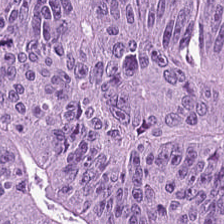H&E stain.
The predominant tissue is adenocarcinoma.
